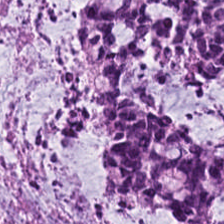Hematoxylin-and-eosin stained section.
Showing extracellular mucin.
